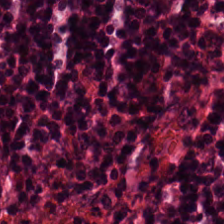H&E stain; 0.5 microns per pixel.
Showing benign colonic mucosa.
